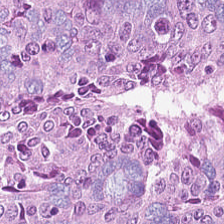H&E · whole-slide-image patch. Tissue class — malignant epithelium.
